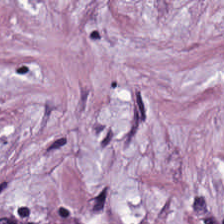H&E. The predominant tissue is tumor stroma.
